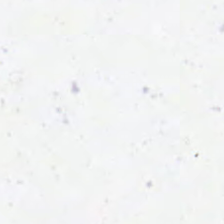H&E · 224×224 pixel tile.
This patch shows empty background.
